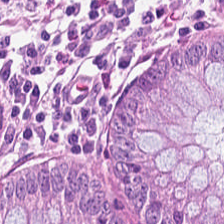WSI patch · 224×224 pixel tile · hematoxylin-and-eosin stained section.
Q: What is shown here?
A: Normal colonic mucosa.
